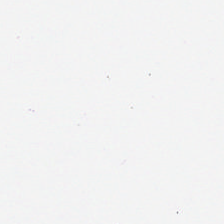224×224 px patch · hematoxylin and eosin.
This patch shows background.
